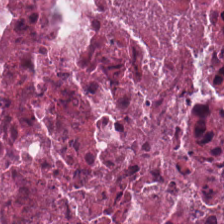H&E-stained tissue section showing debris.
